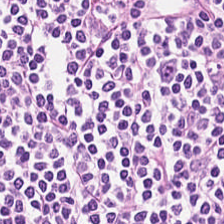The predominant tissue is lymphocyte aggregate.
